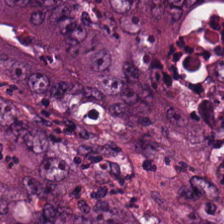FFPE. Hematoxylin-and-eosin stained section.
{"tissue_type": "colorectal adenocarcinoma"}
